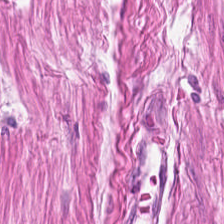The predominant tissue is smooth muscle.
